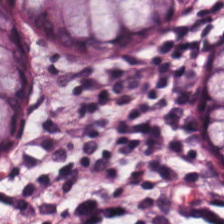Stain: H&E stain.
Tissue type: benign colonic mucosa.
